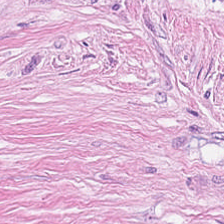Q: What does this patch show?
A: Tumor-associated stroma.
